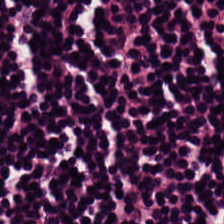Hematoxylin and eosin. The tissue type is lymphocytic infiltrate.
